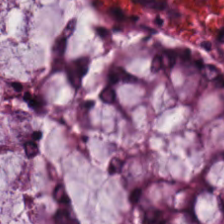H&E-stained tissue section · 0.5 µm per pixel. {"tissue_type": "normal colon mucosa"}
